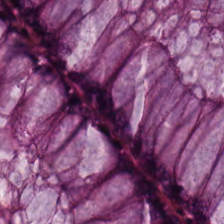H&E — This field is normal colonic mucosa.
